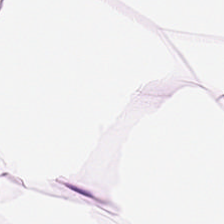H&E — Q: What does this patch show?
A: Adipose tissue.
